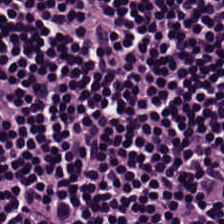H&E-stained section; the field shows lymphocytic infiltrate.
